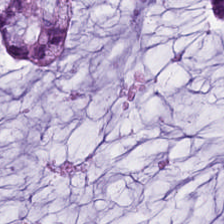H&E stain. The predominant tissue is mucin.
